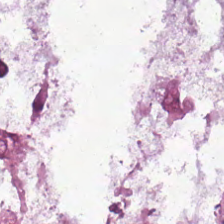H&E. WSI patch. The predominant tissue is mucus.
